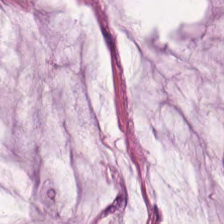Hematoxylin and eosin.
Predominantly extracellular mucin.
